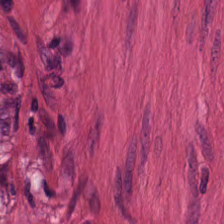Stain: hematoxylin and eosin.
Tissue class: smooth muscle.
